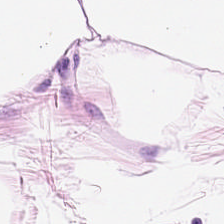Formalin-fixed paraffin-embedded section. H&E-stained tissue section. 0.5 microns per pixel. Q: What is the predominant tissue type?
A: This is adipose tissue.
